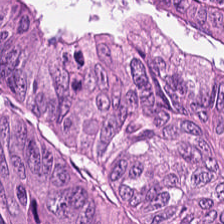Hematoxylin and eosin. 0.5 µm per pixel.
Histology → adenocarcinoma.
